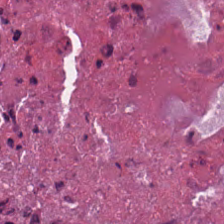H&E-stained tissue section.
Q: What is the predominant tissue type?
A: Cellular debris.
